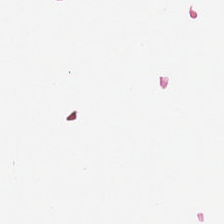H&E stain.
No tissue present; background only.
